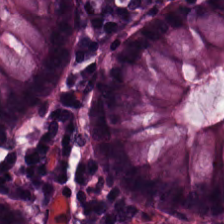H&E-stained tissue section. 0.5 µm per pixel. Predominantly normal colonic mucosa.
